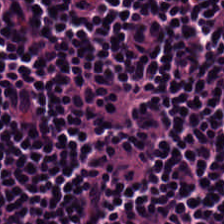{"tissue_type": "lymphocytic infiltrate"}
